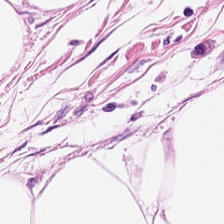H&E-stained tissue section showing adipose.
